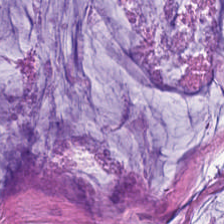H&E stain.
The tissue is mucus.
